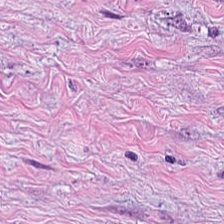Hematoxylin-and-eosin stained section. Q: What tissue type is shown here?
A: It is tumor-associated stroma.
